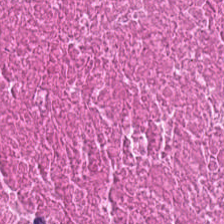H&E — debris.
